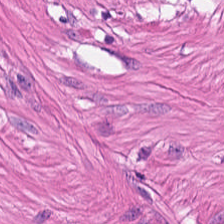Hematoxylin-and-eosin stained section.
Classification = muscularis.
